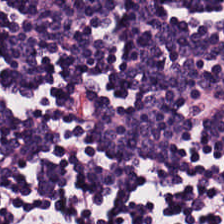Predominant tissue — lymphoid infiltrate.
